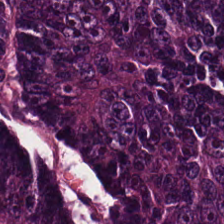Predominantly malignant epithelium.
